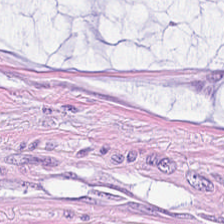Hematoxylin and eosin · 20× equivalent magnification.
Q: What tissue is shown?
A: It is extracellular mucin.
